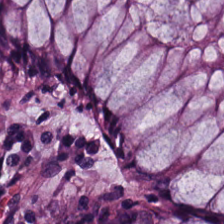Hematoxylin and eosin.
Q: What does this patch show?
A: Normal colonic mucosa.
